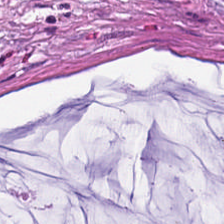Formalin-fixed paraffin-embedded section; hematoxylin-and-eosin stained section. Histology — mucus.
